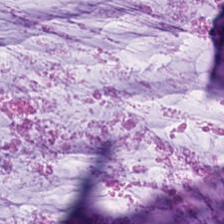Mucin.
